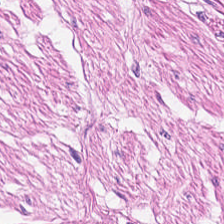Formalin-fixed paraffin-embedded section; 224×224 pixel tile; H&E stain. Q: Identify the tissue.
A: Muscularis.
